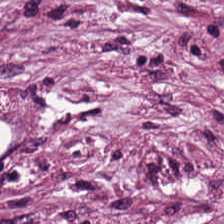H&E — Classification — desmoplastic stroma.
